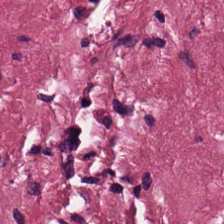Brightfield · H&E stain. The tissue here is tumor-associated stroma.
